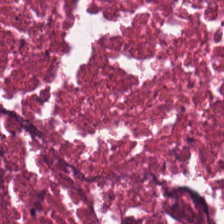Stain: H&E stain.
Preparation: FFPE tissue section.
Classification: necrotic debris.
